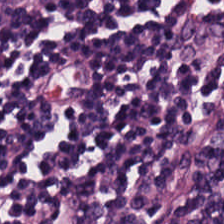224×224 pixel tile · 0.5 microns per pixel · hematoxylin and eosin.
Q: What is the predominant tissue type?
A: It is lymphocyte aggregate.
